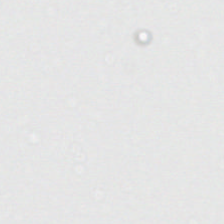WSI patch. H&E stain. FFPE.
{"content": "empty background"}
